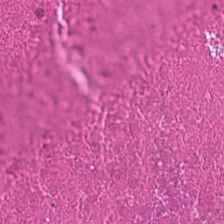Histology — cellular debris.
